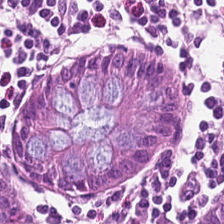{"tissue_type": "normal colon mucosa"}
